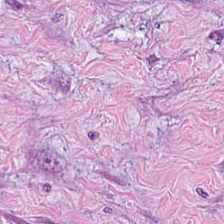0.5 microns per pixel · 224×224 px tile · hematoxylin and eosin. Q: Classify this patch.
A: Cancer-associated stroma.
